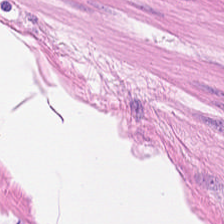Smooth muscle.
